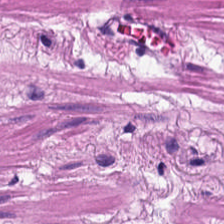H&E. Formalin-fixed paraffin-embedded section. Classification = smooth muscle.
